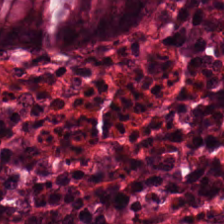H&E stain.
Impression — benign colonic mucosa.
